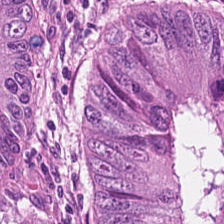Predominant tissue = adenocarcinoma.
